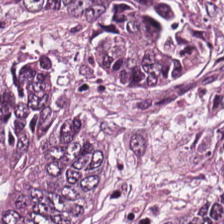Brightfield microscopy. 224×224 pixel tile. Hematoxylin and eosin — Classification = malignant epithelium.
